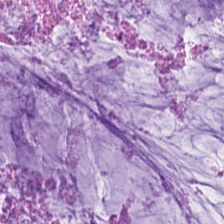20× equivalent magnification. WSI patch. H&E.
Impression → mucin.
